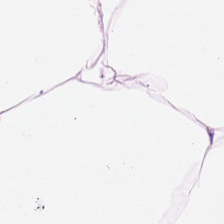H&E-stained tissue section. Showing adipocytes.
